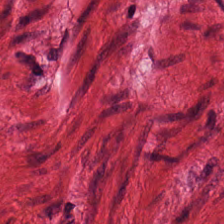Stain: hematoxylin-and-eosin stained section.
Preparation: FFPE tissue section.
Tissue type: smooth-muscle tissue.
